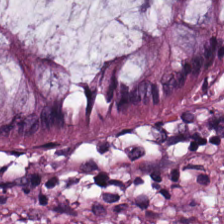H&E-stained tissue section.
Tissue = normal colon mucosa.
